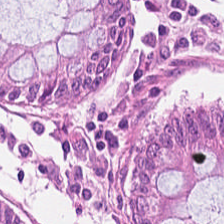H&E-stained tissue section. The predominant tissue is benign colonic mucosa.
